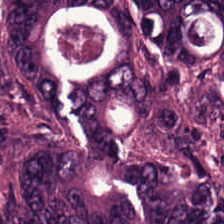Stain: hematoxylin and eosin.
Tissue type: colorectal adenocarcinoma epithelium.
